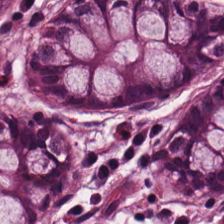H&E-stained tissue section. Non-neoplastic colon mucosa.
